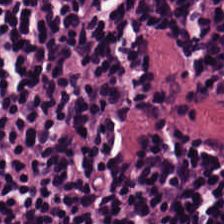H&E stain. Finding — lymphoid infiltrate.
